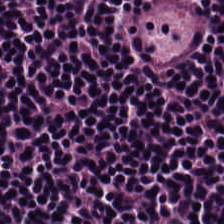FFPE · H&E — Lymphocytic infiltrate.
